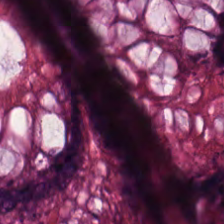FFPE; 224×224 px patch; hematoxylin and eosin — Showing normal colon mucosa.
